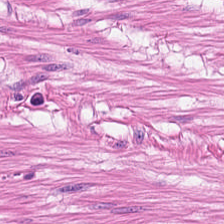Hematoxylin and eosin. Q: What tissue type is shown here?
A: The field shows smooth muscle.
